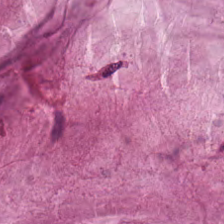Brightfield microscopy; FFPE tissue section; H&E stain — Predominant tissue — extracellular mucin.
